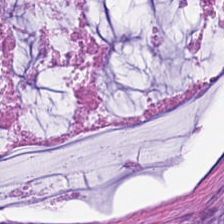H&E. Impression — mucus.
